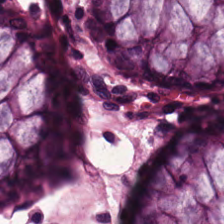H&E stain · 224×224 px tile · whole-slide-image patch. The tissue class is normal colonic mucosa.
